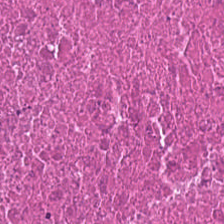Tissue = debris.
